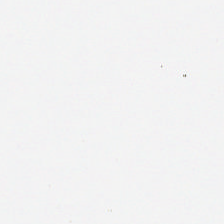H&E.
Empty field — background (no tissue).
